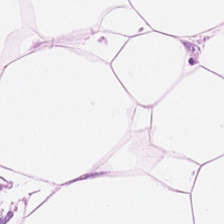Hematoxylin-and-eosin stained section — Q: Identify the tissue.
A: It is adipocytes.
